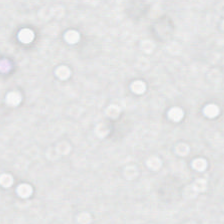Brightfield. H&E stain. Q: What is shown in this field?
A: This is background.
